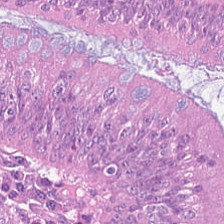Hematoxylin-and-eosin stained section — The predominant tissue is colorectal adenocarcinoma.
